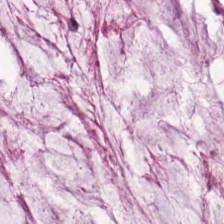H&E stain.
Predominantly mucin.
